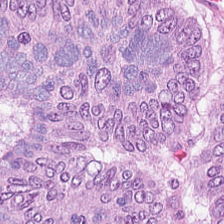H&E-stained tissue section · brightfield — Colorectal adenocarcinoma epithelium.
